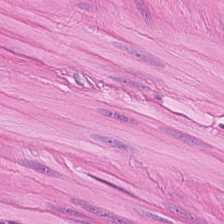Stain: H&E.
Tissue: smooth muscle.
